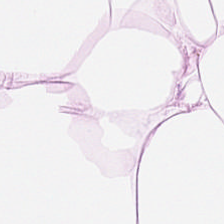H&E stain. Brightfield microscopy.
Impression — adipose.
